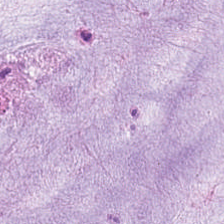Q: What is the predominant tissue type?
A: This is extracellular mucin.
